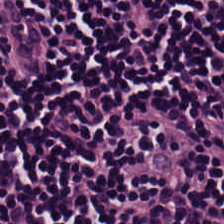Formalin-fixed paraffin-embedded section. Whole-slide-image patch. Hematoxylin-and-eosin stained section. Predominantly lymphocytic infiltrate.
